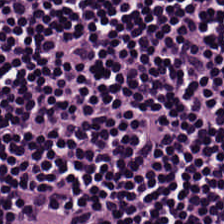Q: What type of tissue is this?
A: This is lymphoid infiltrate.
